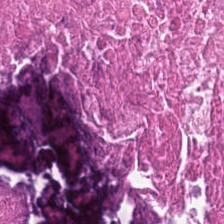FFPE. H&E stain. 224×224 px patch. The predominant tissue is cellular debris.
